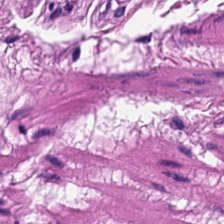224×224 pixel tile. H&E stain — Tissue type: smooth muscle.
